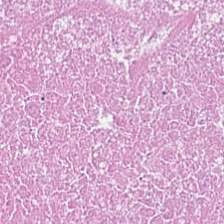Stain: H&E.
Predominant tissue: debris.
